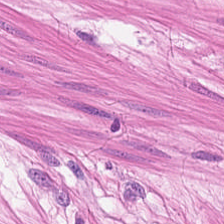H&E stain. Brightfield.
Q: What type of tissue is this?
A: Muscularis.
